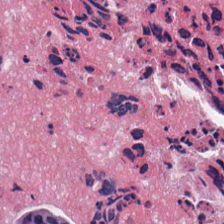H&E. 224×224 px tile. Finding — necrotic debris.
